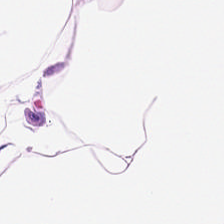H&E. {"tissue_type": "adipocytes"}
